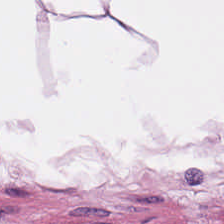H&E-stained tissue section.
Predominantly fat tissue.
